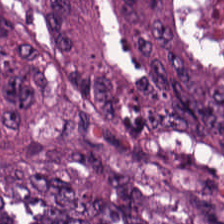Predominantly tumor epithelium.
